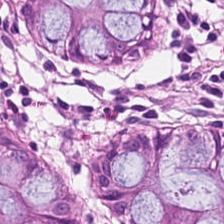H&E; whole-slide-image patch. Benign colonic mucosa.
